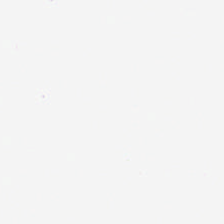H&E-stained tissue section.
Classification = background (no tissue).
